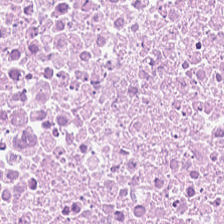H&E. This field is debris.
